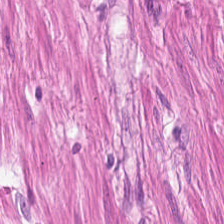H&E — Classification — smooth muscle.
